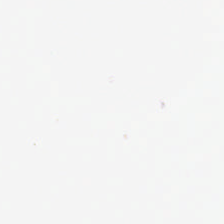Hematoxylin-and-eosin stained section. 224×224 px tile — This field is background (no tissue).
